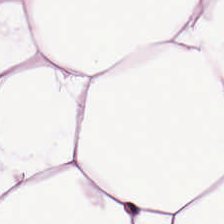Hematoxylin-and-eosin stained section. Whole-slide-image patch. Classification = adipocytes.
